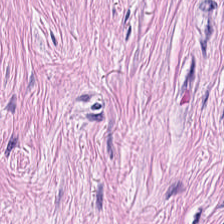Hematoxylin-and-eosin stained section · formalin-fixed paraffin-embedded section — Q: What is shown here?
A: The field shows tumor stroma.
